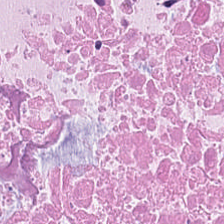Finding → cellular debris.
